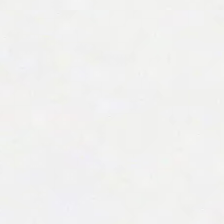H&E; 224×224 px patch — No tissue.
